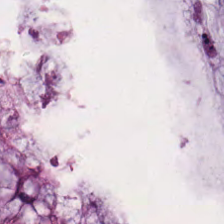Hematoxylin-and-eosin stained section · FFPE.
Predominantly mucin.
